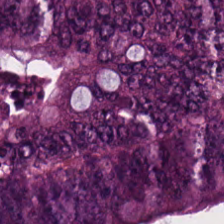H&E stain · 20× equivalent magnification — Impression → colorectal adenocarcinoma.
